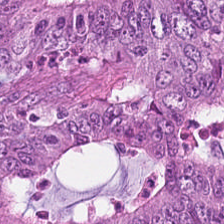H&E-stained tissue section. 224×224 pixel tile — {"tissue_type": "malignant epithelium"}
